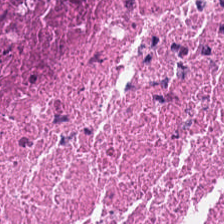Stain: hematoxylin-and-eosin stained section.
Tissue type: necrotic debris.
